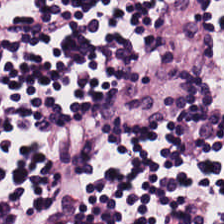Whole-slide-image patch; H&E-stained tissue section.
Histology → lymphocyte aggregate.
